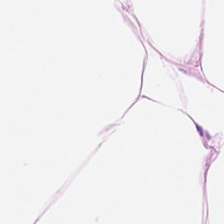Formalin-fixed paraffin-embedded section. H&E-stained tissue section. Brightfield — {"tissue_type": "adipose tissue"}
